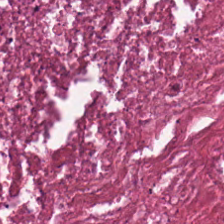H&E stain; brightfield — Predominant tissue = cellular debris.
